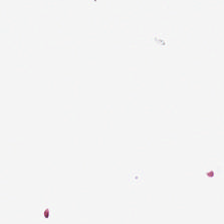H&E-stained tissue section; 224×224 pixel tile. This field is background (no tissue).
